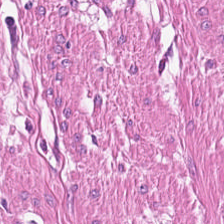Hematoxylin-and-eosin stained section — The predominant tissue is smooth muscle.
